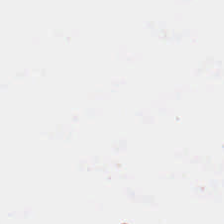H&E-stained tissue section. Background — no tissue in this field.
